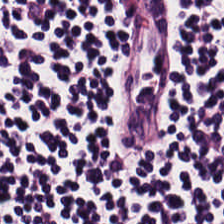Whole-slide-image patch · H&E stain. Predominantly lymphocyte aggregate.
